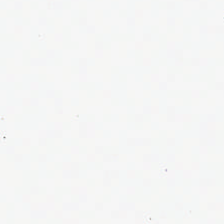H&E stain.
The classification is background (no tissue).
